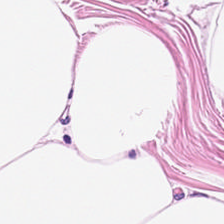Q: What tissue is shown?
A: It is adipose.
